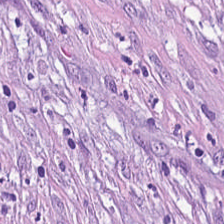20× equivalent magnification · 224×224 pixel tile · hematoxylin-and-eosin stained section. Cancer-associated stroma.
